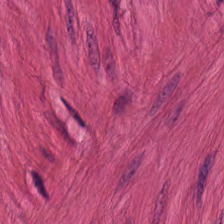Stain: H&E stain.
Tissue class: smooth muscle.
